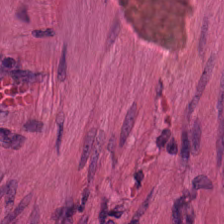H&E-stained section; the field shows smooth muscle.
